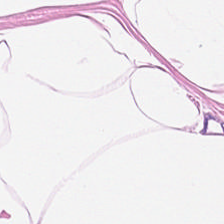H&E stain — Histology → fat tissue.
